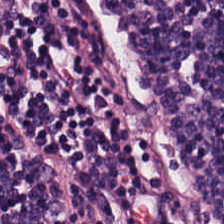H&E. Predominant tissue: lymphocyte aggregate.
